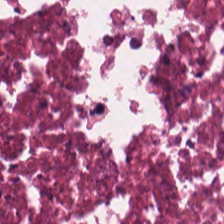The tissue class is debris.
